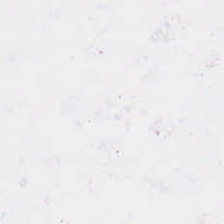{"content": "empty background"}
